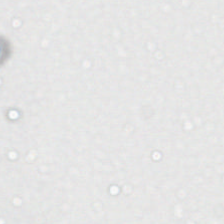H&E-stained tissue section. Q: What does this patch show?
A: No tissue.
